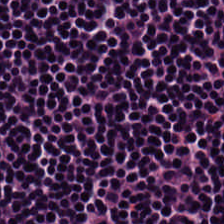Hematoxylin and eosin.
Classification = lymphoid infiltrate.
